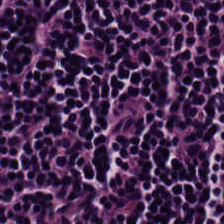Q: What is shown in this field?
A: Lymphocytes.
